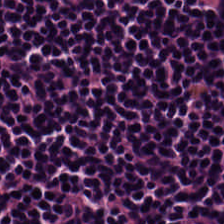224×224 px tile · hematoxylin and eosin. Q: Classify this patch.
A: Lymphocytic infiltrate.
